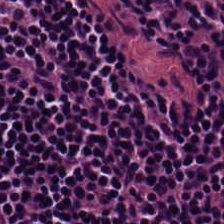Showing lymphoid infiltrate.
